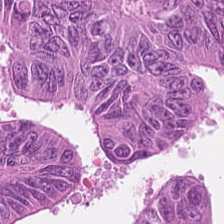Hematoxylin-and-eosin stained section — The tissue here is malignant epithelium.
